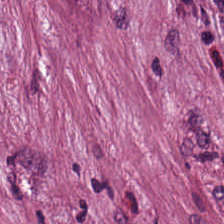Stain: H&E stain.
Predominant tissue: tumor-associated stroma.
